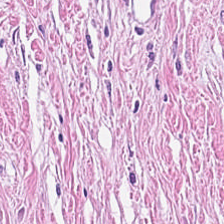H&E. 0.5 µm per pixel.
Tissue type = cancer-associated stroma.
